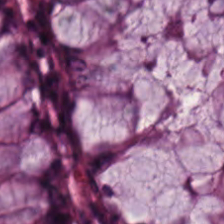0.5 microns per pixel. Hematoxylin-and-eosin stained section — Impression — non-neoplastic colon mucosa.
